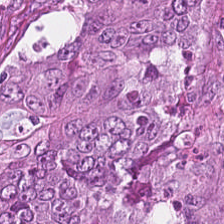224×224 pixel tile · H&E · 20× equivalent magnification.
Predominantly colorectal adenocarcinoma.
